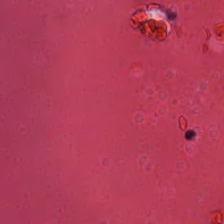Stain: H&E stain.
Predominant tissue: necrotic debris.
